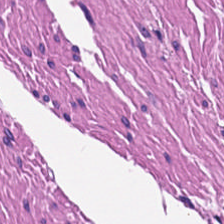Hematoxylin and eosin.
The predominant tissue is muscularis.
